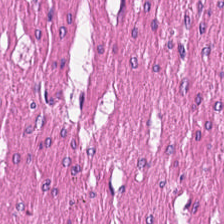Stain: hematoxylin-and-eosin stained section.
Tile size: 224×224 pixel tile.
Tissue: muscularis.
